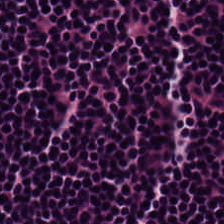Classification: lymphocyte aggregate.
